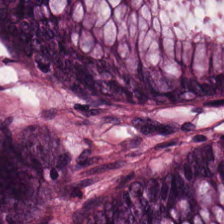H&E; FFPE tissue section.
This field is normal colon mucosa.
